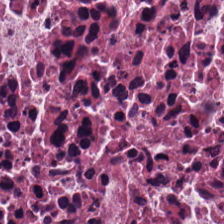H&E stain. The classification is debris.
